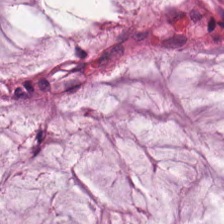Stain: H&E-stained tissue section.
Tile size: 224×224 pixel tile.
Preparation: formalin-fixed paraffin-embedded section.
Predominant tissue: mucus.
